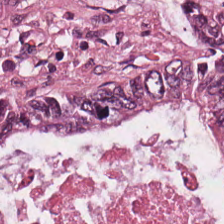H&E-stained tissue section; 0.5 µm/px. The tissue class is colorectal adenocarcinoma.
